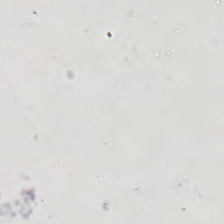Hematoxylin and eosin · brightfield microscopy · 224×224 px tile. Impression → empty background.
